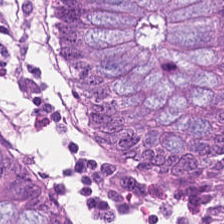Normal colonic mucosa.
